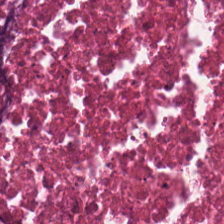Hematoxylin and eosin.
Showing debris.
